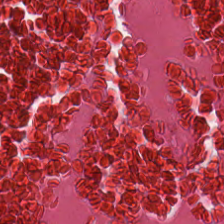H&E stain. 224×224 px tile. 0.5 µm/px — Tissue class: debris.
